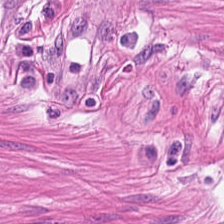H&E · 0.5 microns per pixel — Q: What tissue type is shown here?
A: Smooth muscle.
